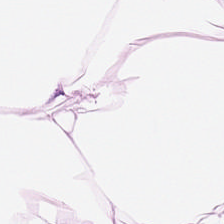H&E-stained tissue section — Impression → adipose.
